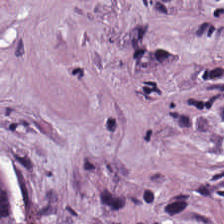Hematoxylin-and-eosin stained section. Formalin-fixed paraffin-embedded section. 20× equivalent magnification. This patch shows desmoplastic stroma.
